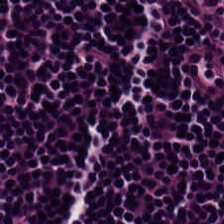H&E-stained tissue section; brightfield microscopy. {"tissue_type": "lymphoid infiltrate"}
